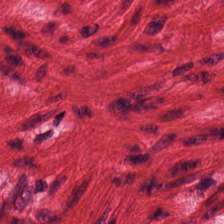Stain: H&E stain.
Preparation: FFPE.
Tissue: smooth-muscle tissue.
